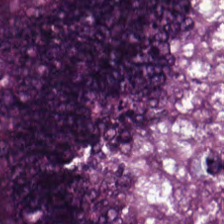Hematoxylin-and-eosin stained section; FFPE tissue section. Predominant tissue: tumor epithelium.
